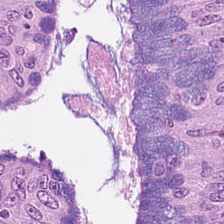Hematoxylin-and-eosin stained section. 224×224 pixel tile — Tissue class = tumor epithelium.
